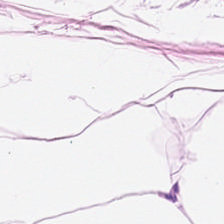H&E. Tissue — adipocytes.
